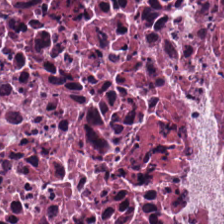H&E.
Impression → debris.
